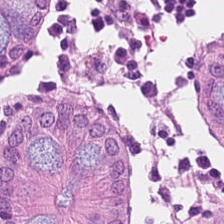H&E. The tissue type is non-neoplastic colon mucosa.
